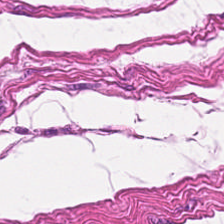{"tissue_type": "smooth-muscle tissue"}
